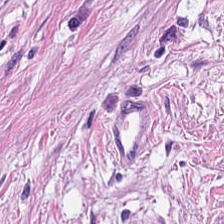Stain: H&E-stained tissue section.
Tissue type: muscularis.
